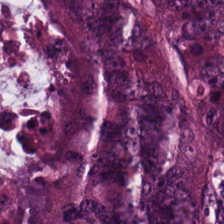224×224 px patch · hematoxylin-and-eosin stained section. {"tissue_type": "adenocarcinoma"}
